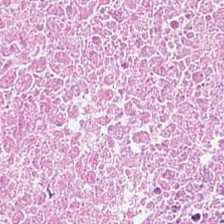H&E stain. This patch shows necrotic debris.
